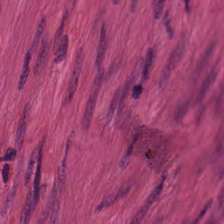The tissue here is muscularis.
